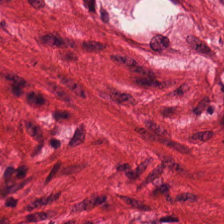H&E-stained tissue section — The tissue is muscularis.
